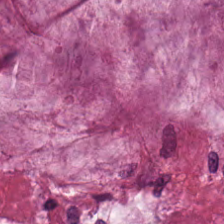H&E.
The tissue here is mucin.
